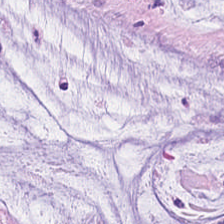Hematoxylin and eosin — The predominant tissue is mucus.
